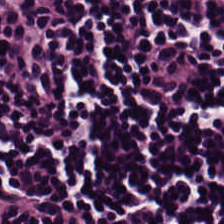H&E — Classification = lymphoid infiltrate.
